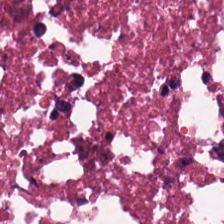Hematoxylin-and-eosin stained section.
Q: Identify the tissue.
A: The field shows debris.
